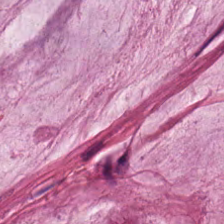Stain: H&E.
Tissue class: mucus.
